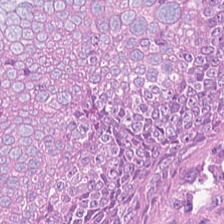H&E-stained tissue section — Q: What type of tissue is this?
A: The field shows colorectal adenocarcinoma.
